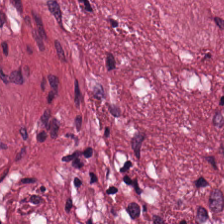H&E-stained tissue section · 224×224 px tile. Showing cancer-associated stroma.
